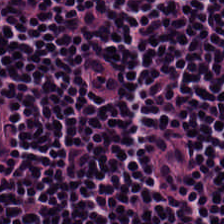Hematoxylin and eosin · brightfield microscopy — The tissue here is lymphocytic infiltrate.
